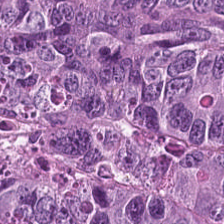Stain: hematoxylin-and-eosin stained section.
Acquisition: whole-slide-image patch.
Predominant tissue: colorectal adenocarcinoma.
